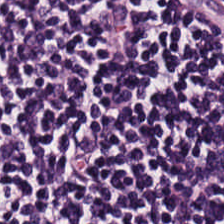FFPE; H&E. Q: What type of tissue is this?
A: It is lymphoid infiltrate.
